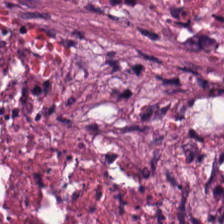Hematoxylin and eosin — Tissue type: debris.
